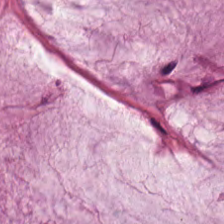224×224 px patch. H&E-stained tissue section.
Q: Identify the tissue.
A: It is mucin.
